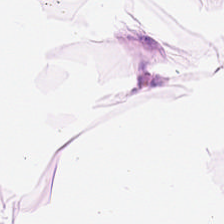Finding — fat tissue.
